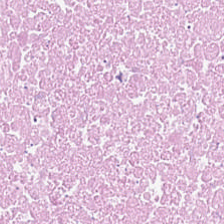Stain: H&E.
Resolution: 0.5 microns per pixel.
Tissue: necrotic debris.
